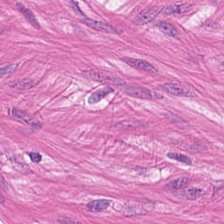H&E stain.
Predominantly smooth muscle.
